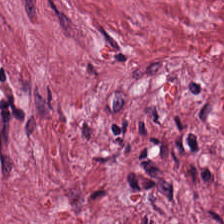Impression → tumor stroma.
